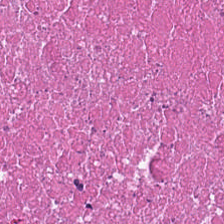H&E · brightfield microscopy. {"tissue_type": "necrotic debris"}
